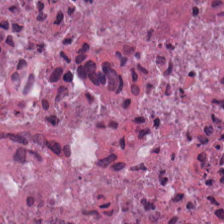Hematoxylin-and-eosin stained section · 20× equivalent magnification. Showing necrotic debris.
